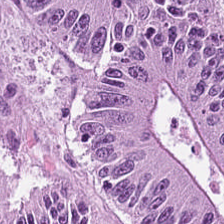Formalin-fixed paraffin-embedded section; hematoxylin-and-eosin stained section; 224×224 pixel tile.
Showing colorectal adenocarcinoma epithelium.
